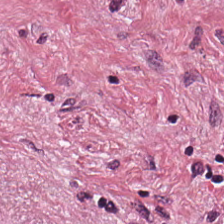H&E patch showing tumor stroma.
